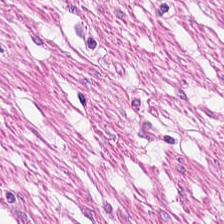H&E patch showing muscularis.
